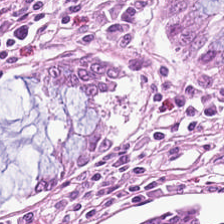H&E stain; 20× equivalent magnification.
Tissue type: non-neoplastic colon mucosa.
